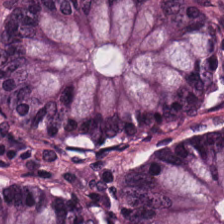Whole-slide-image patch. H&E.
Q: What tissue is shown?
A: Non-neoplastic colon mucosa.
